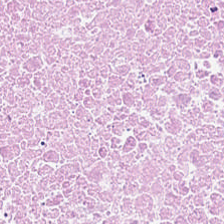Hematoxylin-and-eosin stained section.
Predominantly debris.
